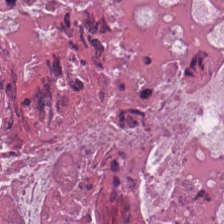H&E. Q: What is shown in this field?
A: It is necrotic debris.
